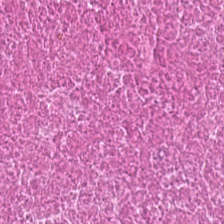H&E-stained tissue section. Predominantly cellular debris.
